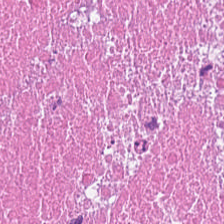Hematoxylin and eosin. The tissue class is necrotic debris.
